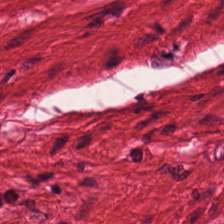H&E stain · 224×224 pixel tile · FFPE tissue section. Impression → muscularis.
